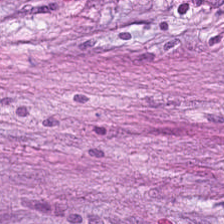Hematoxylin-and-eosin stained section. Predominantly desmoplastic stroma.
